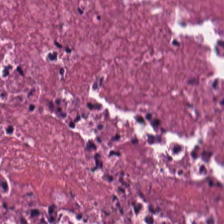Hematoxylin-and-eosin stained section. 224×224 px tile. This patch shows debris.
